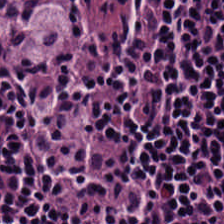Q: What is shown here?
A: It is lymphoid infiltrate.
